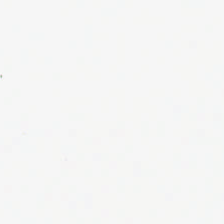Hematoxylin and eosin · 0.5 µm/px. Q: Classify this patch.
A: The field shows background (no tissue).
